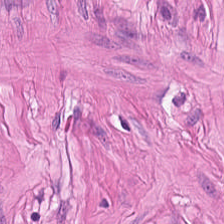20× equivalent magnification. H&E stain. Predominantly smooth-muscle tissue.
